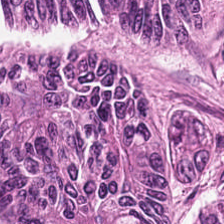Histology — tumor epithelium.
